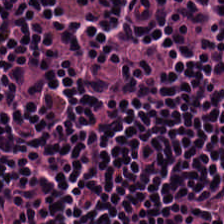H&E — lymphocytic infiltrate.
